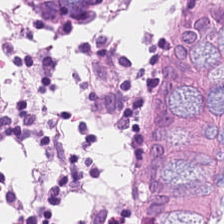Hematoxylin-and-eosin section: normal colonic mucosa.
